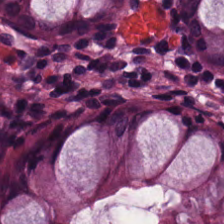Stain: H&E.
Tissue: benign colonic mucosa.
